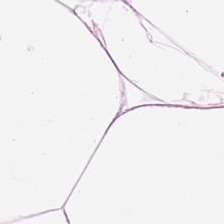Hematoxylin and eosin — Q: What does this patch show?
A: Adipose.
